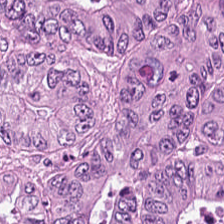Stain: H&E.
Preparation: FFPE.
Tissue type: tumor epithelium.
